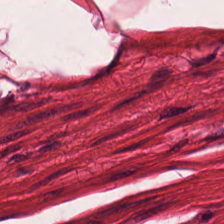H&E-stained tissue section.
Predominant tissue: muscularis.
